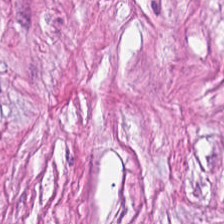Finding — cancer-associated stroma.
